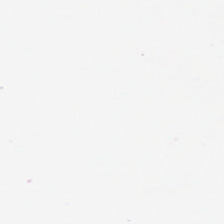Hematoxylin and eosin. Background.
